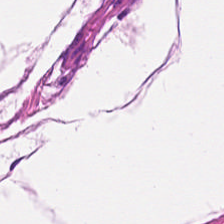224×224 pixel tile; H&E-stained tissue section. Q: Classify this patch.
A: It is smooth-muscle tissue.
